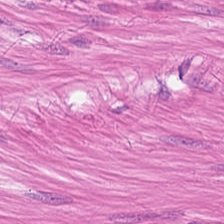Whole-slide-image patch; H&E-stained tissue section.
The tissue type is muscularis.
